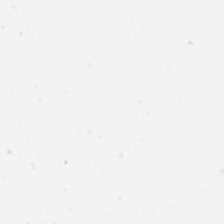Q: Classify this patch.
A: Background (no tissue).
